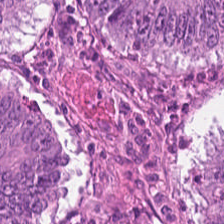Stain: H&E.
Classification: colorectal adenocarcinoma.
